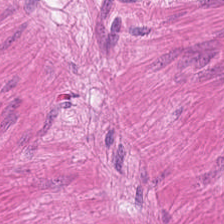FFPE tissue section · H&E stain.
This field is smooth muscle.
